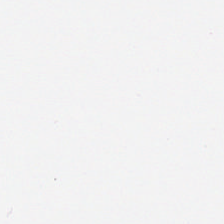H&E.
The classification is empty background.
